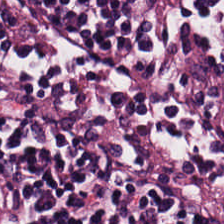H&E-stained tissue section. Whole-slide-image patch — Q: Classify this patch.
A: It is lymphoid infiltrate.
